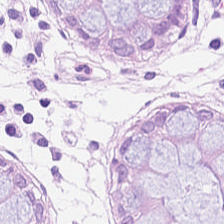The tissue here is normal colonic mucosa.
